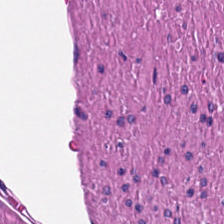Brightfield microscopy · H&E stain · FFPE tissue section.
This field is smooth-muscle tissue.
